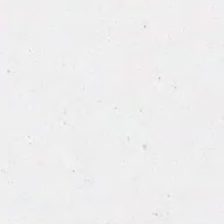Brightfield microscopy. Hematoxylin-and-eosin stained section.
Field content = background (no tissue).
